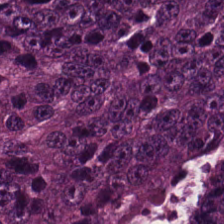Finding — malignant epithelium.
